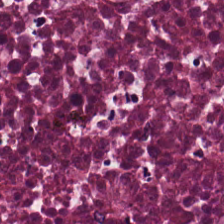Q: What is shown here?
A: It is cellular debris.
